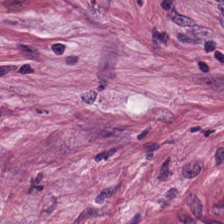Whole-slide-image patch · hematoxylin and eosin. Histology — desmoplastic stroma.
